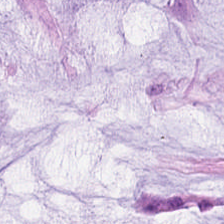FFPE. H&E stain — Classification = mucus.
